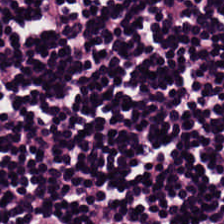Stain: H&E stain.
Tissue class: lymphocytes.
